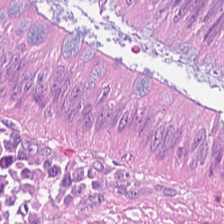H&E-stained tissue section — {"tissue_type": "colorectal adenocarcinoma"}
